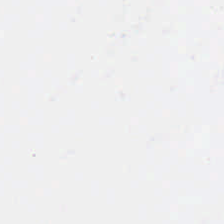Stain: hematoxylin and eosin.
Tile size: 224×224 px tile.
Classification: background (no tissue).
